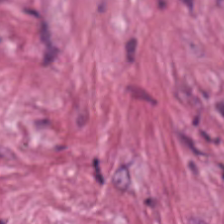H&E — The tissue here is cancer-associated stroma.
